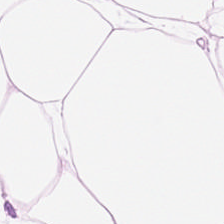Brightfield microscopy; H&E — Impression → fat tissue.
